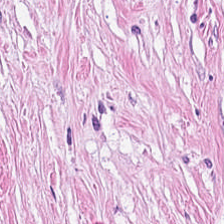H&E stain. Q: Classify this patch.
A: Tumor-associated stroma.
